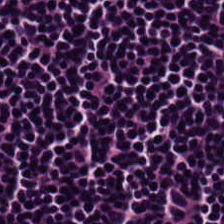Stain: hematoxylin and eosin.
Resolution: 20× equivalent magnification.
Preparation: FFPE.
Tissue type: lymphocytic infiltrate.
